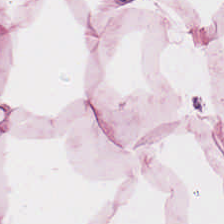H&E-stained tissue section. 0.5 µm per pixel.
Predominantly adipocytes.
